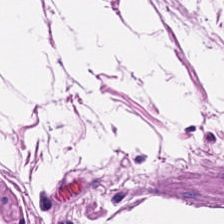FFPE; H&E-stained tissue section.
Q: What tissue type is shown here?
A: The field shows smooth muscle.
